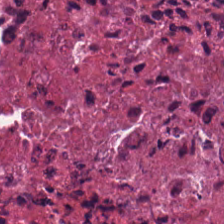FFPE tissue section · hematoxylin-and-eosin stained section — The classification is cellular debris.
